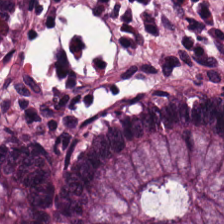Whole-slide-image patch · H&E · 0.5 µm per pixel. Classification = normal colonic mucosa.
